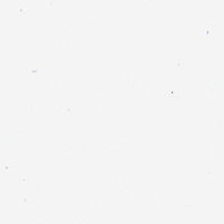H&E-stained tissue section · brightfield.
Histology → empty background.
